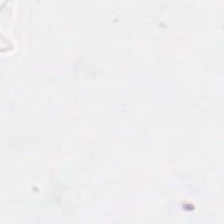FFPE; hematoxylin-and-eosin stained section; 0.5 microns per pixel. This patch shows empty background.
